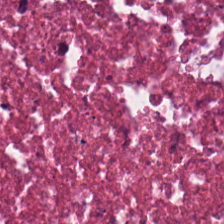H&E-stained tissue section. 0.5 microns per pixel. This patch shows necrotic debris.
